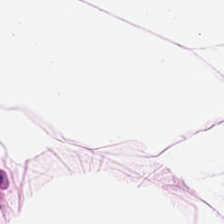224×224 px patch · H&E-stained tissue section. This patch shows adipose tissue.
